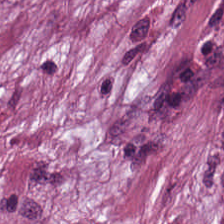H&E patch showing tumor-associated stroma.
